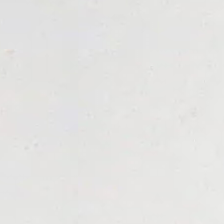No tissue.
